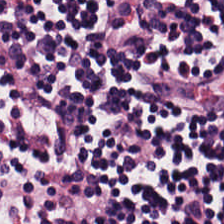H&E-stained tissue section showing lymphoid infiltrate.
